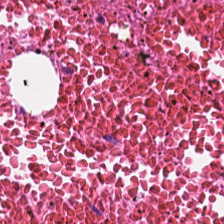Q: Classify this patch.
A: It is debris.
